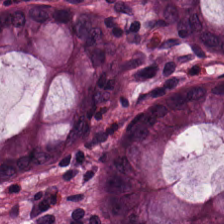Tissue class = normal colonic mucosa.
